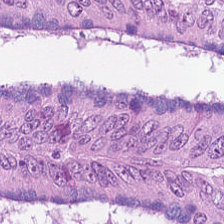H&E stain. The tissue here is adenocarcinoma.
